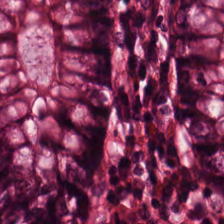224×224 pixel tile · hematoxylin and eosin.
This field is normal colon mucosa.
